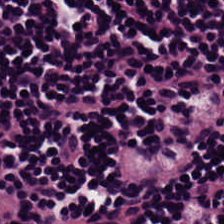Hematoxylin and eosin — The tissue here is lymphocytes.
